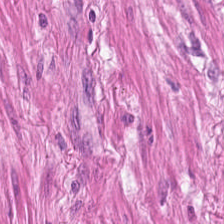Hematoxylin-and-eosin stained section.
{"tissue_type": "smooth muscle"}
